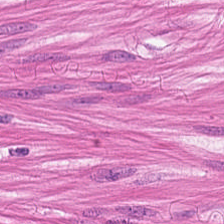Whole-slide-image patch · hematoxylin-and-eosin stained section.
Tissue type: smooth muscle.
